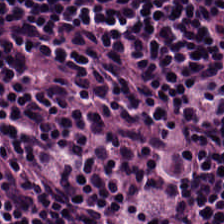Hematoxylin and eosin — Predominant tissue: lymphocyte aggregate.
